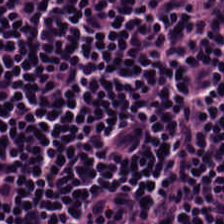H&E. Lymphocyte aggregate.
